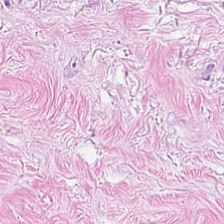H&E; 224×224 px patch — Predominantly cancer-associated stroma.
